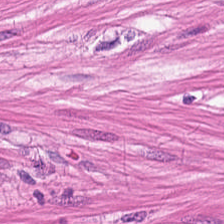Hematoxylin and eosin. This field is smooth-muscle tissue.
